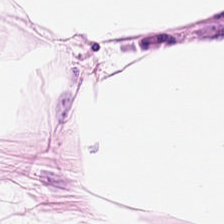Predominantly adipocytes.
